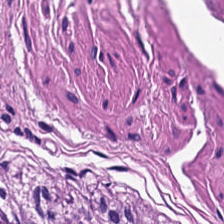Tissue — smooth-muscle tissue.
